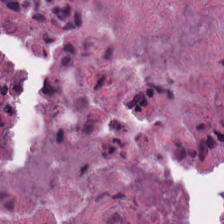H&E.
Cellular debris.
